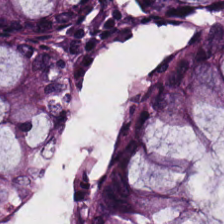H&E stain — This field is normal colon mucosa.
